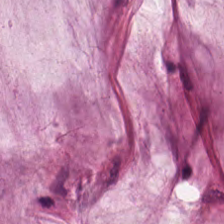H&E. This patch shows mucus.
